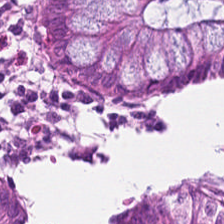Hematoxylin-and-eosin stained section · FFPE. Classification: non-neoplastic colon mucosa.
